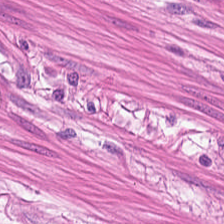20× equivalent magnification. Brightfield microscopy. Hematoxylin and eosin.
Smooth muscle.
